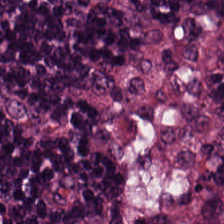Stain: hematoxylin and eosin.
Predominant tissue: lymphocyte aggregate.
